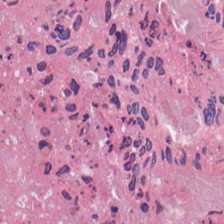Hematoxylin-and-eosin stained section — This field is debris.
